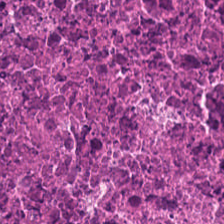224×224 px tile. Hematoxylin and eosin — Finding — cellular debris.
